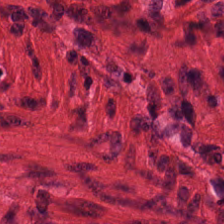H&E-stained tissue section — Q: What does this patch show?
A: This is muscularis.
